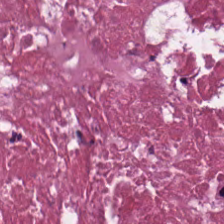H&E stain.
The tissue class is cellular debris.
